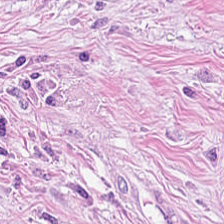Hematoxylin-and-eosin stained section — The tissue is cancer-associated stroma.
